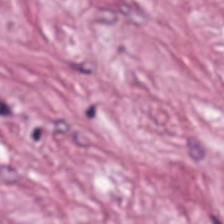H&E stain.
Q: What type of tissue is this?
A: It is cancer-associated stroma.
